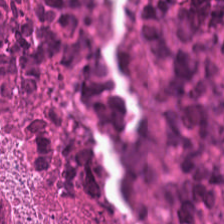Hematoxylin-and-eosin stained section. Formalin-fixed paraffin-embedded section. 224×224 px patch. This field is cellular debris.
